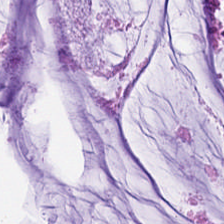H&E. Brightfield.
The predominant tissue is mucin.
